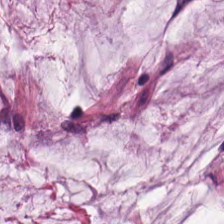Hematoxylin and eosin — Tissue — mucus.
